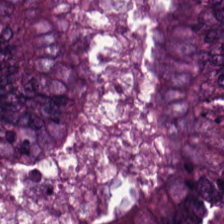H&E-stained tissue section; 20× equivalent magnification.
Q: What is shown in this field?
A: It is malignant epithelium.
